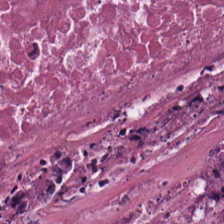H&E. This patch shows necrotic debris.
